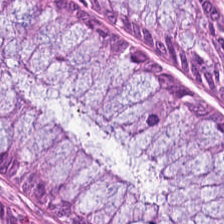Hematoxylin and eosin. Tissue type = normal colonic mucosa.
